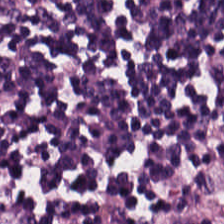Hematoxylin-and-eosin stained section; WSI patch.
The classification is lymphocytic infiltrate.
